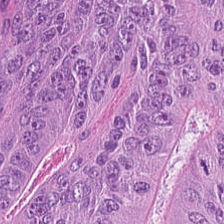H&E stain — {"tissue_type": "colorectal adenocarcinoma epithelium"}
